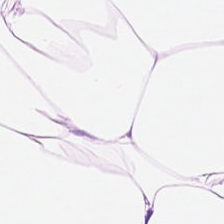H&E patch showing adipose.
